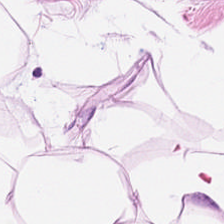Hematoxylin and eosin — Adipose tissue.
